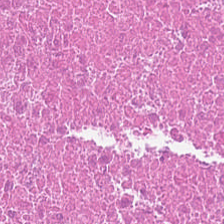Hematoxylin-and-eosin stained section; FFPE; 0.5 µm per pixel — {"tissue_type": "cellular debris"}
